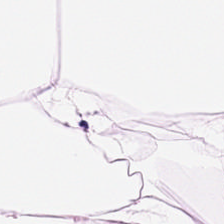H&E stain · brightfield microscopy — Showing adipocytes.
